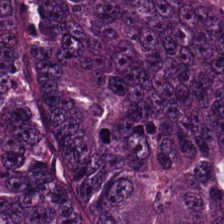The predominant tissue is tumor epithelium.
